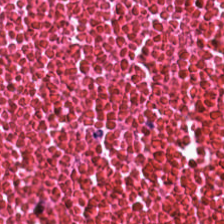20× equivalent magnification. H&E-stained tissue section. Brightfield.
Showing debris.
